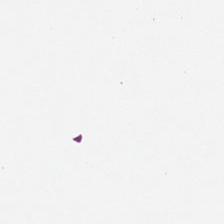0.5 µm per pixel; H&E; 224×224 pixel tile — This field is background (no tissue).
